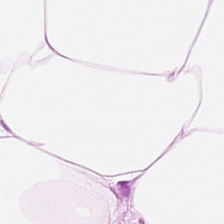Histology → adipose tissue.
